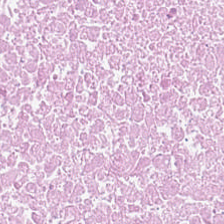Hematoxylin-and-eosin section: cellular debris.
